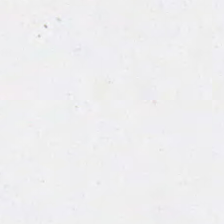Hematoxylin-and-eosin stained section.
Empty field — empty background.
